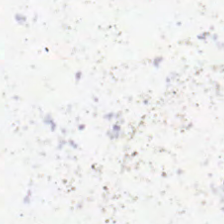H&E-stained tissue section.
Q: What is shown here?
A: The field shows background (no tissue).
